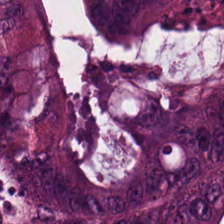Stain: H&E.
Classification: adenocarcinoma.
